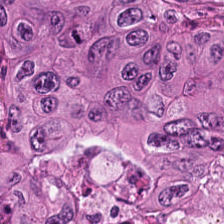H&E stain — Impression → adenocarcinoma.
